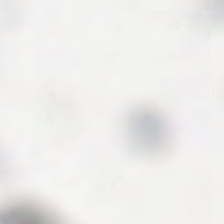Whole-slide-image patch; hematoxylin-and-eosin stained section.
This field is background (no tissue).
